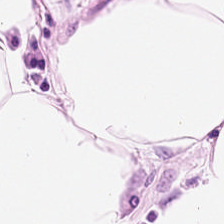Stain: H&E.
Resolution: 0.5 µm per pixel.
Predominant tissue: adipocytes.
